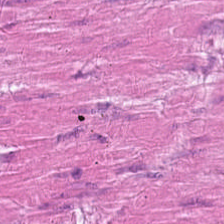H&E stain · WSI patch. Showing smooth-muscle tissue.
